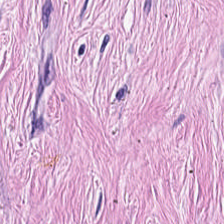H&E-stained tissue section. 224×224 pixel tile. Formalin-fixed paraffin-embedded section — The tissue is cancer-associated stroma.
